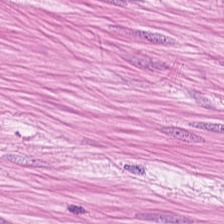H&E stain; brightfield — Q: What type of tissue is this?
A: Muscularis.
